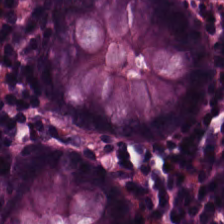H&E stain.
Q: What is shown here?
A: Benign colonic mucosa.
